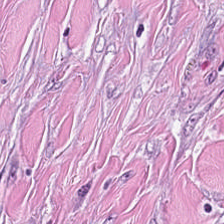The predominant tissue is cancer-associated stroma.
